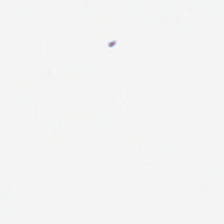Whole-slide-image patch · H&E · FFPE tissue section. Q: What does this patch show?
A: This is background.
